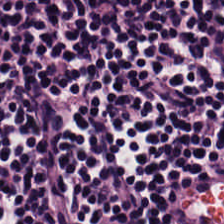Hematoxylin and eosin. The predominant tissue is lymphocytes.
